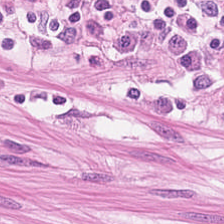224×224 px patch; WSI patch; H&E-stained tissue section.
{"tissue_type": "smooth-muscle tissue"}
